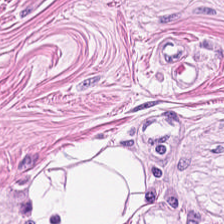Stain: H&E stain.
Tile size: 224×224 px tile.
Predominant tissue: smooth muscle.
